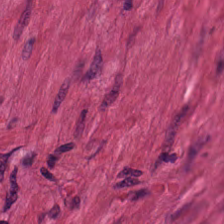Brightfield. H&E stain. Classification = smooth muscle.
